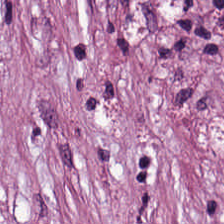0.5 µm/px; hematoxylin-and-eosin stained section. Tissue type = cancer-associated stroma.
